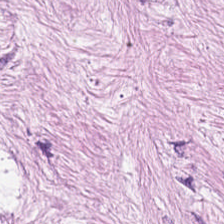Formalin-fixed paraffin-embedded section · hematoxylin and eosin.
Classification — tumor stroma.
